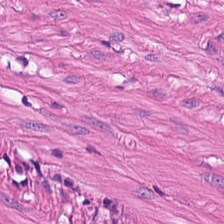H&E · 224×224 px patch — Tissue class = muscularis.
